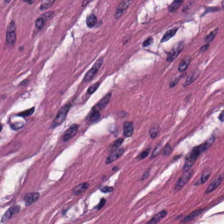Hematoxylin and eosin — Finding — smooth muscle.
